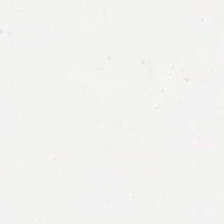H&E stain. 0.5 microns per pixel. Impression → background.
